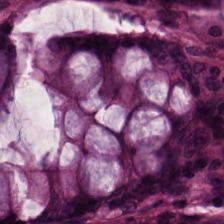The tissue type is normal colon mucosa.
